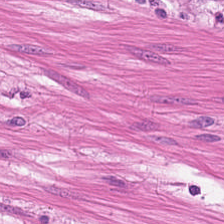Hematoxylin and eosin — Q: What is shown here?
A: Smooth muscle.
